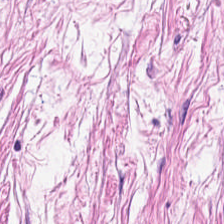H&E-stained tissue section — Predominantly tumor-associated stroma.
